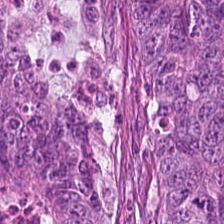Hematoxylin and eosin — Predominantly colorectal adenocarcinoma epithelium.
